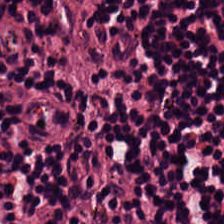H&E stain; 224×224 pixel tile. This field is lymphocytic infiltrate.
